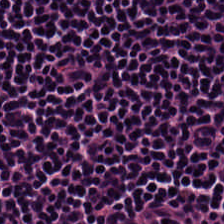Tissue class — lymphocytic infiltrate.
